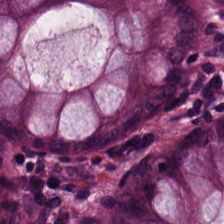Hematoxylin and eosin; FFPE tissue section; brightfield microscopy.
{"tissue_type": "non-neoplastic colon mucosa"}
